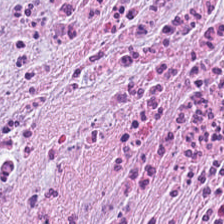FFPE tissue section. 0.5 µm/px. H&E.
Tissue = tumor stroma.
